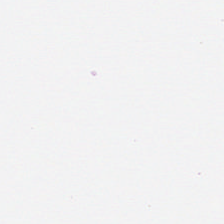Content: background.
